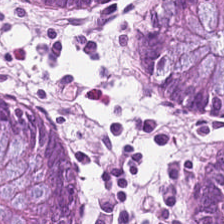0.5 µm/px; FFPE tissue section; hematoxylin and eosin — Normal colon mucosa.
